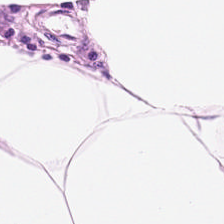H&E stain. Predominant tissue — adipocytes.
